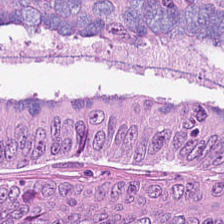Hematoxylin and eosin.
Histology → malignant epithelium.
